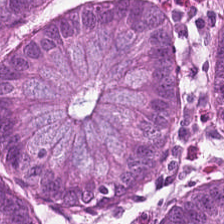Q: What tissue type is shown here?
A: The field shows normal colonic mucosa.
